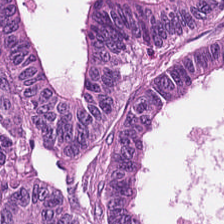Hematoxylin and eosin · 224×224 pixel tile. The predominant tissue is colorectal adenocarcinoma.
